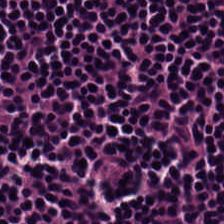Q: What does this patch show?
A: It is lymphoid infiltrate.
